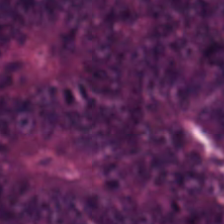Q: What is the predominant tissue type?
A: Adenocarcinoma.
